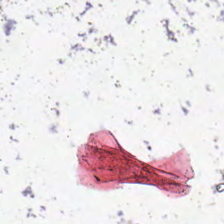Whole-slide-image patch · H&E.
This patch shows background.
